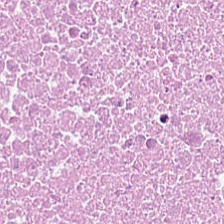The predominant tissue is cellular debris.
